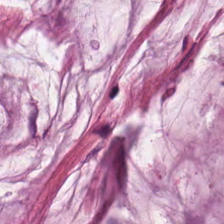H&E — Tissue type: mucin.
